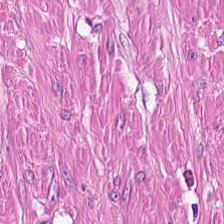This patch shows muscularis.
